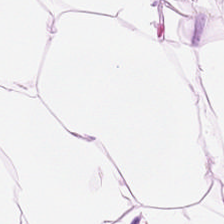Tissue class: adipocytes.
